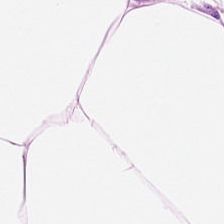Hematoxylin-and-eosin stained section — Q: What type of tissue is this?
A: Adipocytes.
